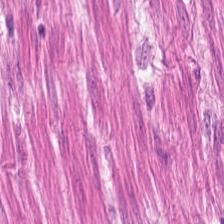H&E. FFPE tissue section — Q: Classify this patch.
A: The field shows smooth muscle.
